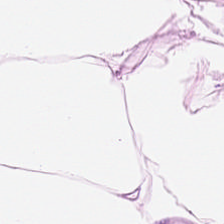0.5 µm per pixel · H&E · 224×224 pixel tile.
Histology — adipocytes.
